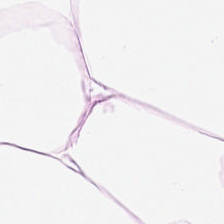0.5 µm per pixel · H&E stain.
Finding — adipose tissue.
